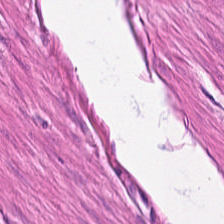Hematoxylin and eosin — The tissue is muscularis.
